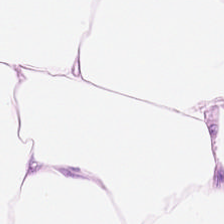Tissue type = adipose tissue.
